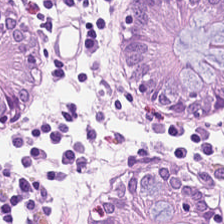H&E; formalin-fixed paraffin-embedded section; brightfield.
Tissue class: non-neoplastic colon mucosa.
